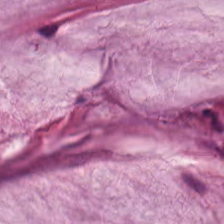Stain: H&E stain.
Resolution: 0.5 µm per pixel.
Predominant tissue: mucin.
